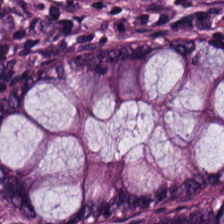H&E — The tissue here is benign colonic mucosa.
